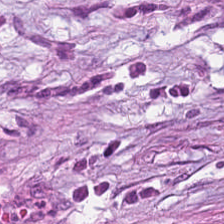Hematoxylin and eosin.
Classification — desmoplastic stroma.
